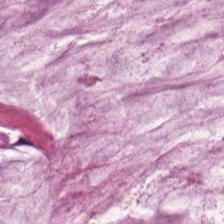Brightfield. H&E stain. Formalin-fixed paraffin-embedded section.
Q: Classify this patch.
A: The field shows extracellular mucin.
